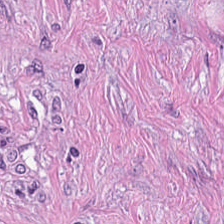H&E-stained tissue section — Predominantly desmoplastic stroma.
